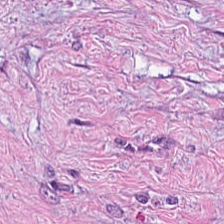Brightfield microscopy; H&E-stained tissue section. Tissue type = desmoplastic stroma.
